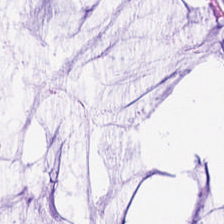0.5 microns per pixel. H&E stain — Extracellular mucin.
